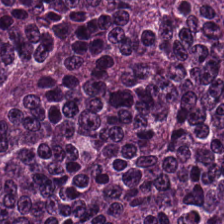0.5 µm per pixel; hematoxylin and eosin — Predominant tissue: malignant epithelium.
